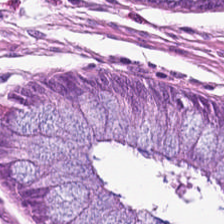H&E-stained tissue section — Histology — normal colonic mucosa.
